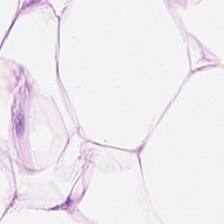Stain: H&E stain.
Tissue: adipocytes.
